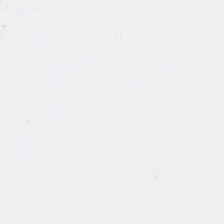20× equivalent magnification; brightfield microscopy; hematoxylin and eosin — Content — empty background.
